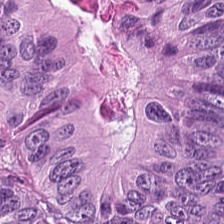224×224 pixel tile · H&E · WSI patch.
The tissue here is malignant epithelium.
